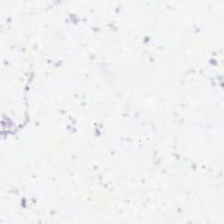This patch shows no tissue.
